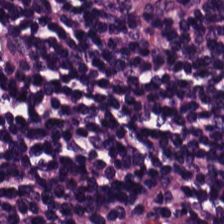H&E. 0.5 microns per pixel. 224×224 px patch.
This patch shows lymphocytes.
